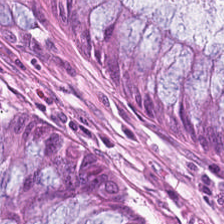Hematoxylin-and-eosin stained section; 0.5 µm/px — Q: What is shown here?
A: The field shows normal colonic mucosa.
